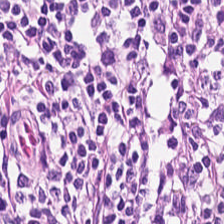Brightfield · H&E-stained tissue section. {"tissue_type": "lymphocytic infiltrate"}
